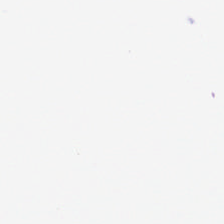FFPE tissue section; hematoxylin and eosin; whole-slide-image patch. Empty field — background.
